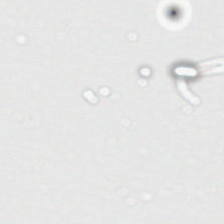FFPE tissue section. Hematoxylin and eosin — This field is background (no tissue).
